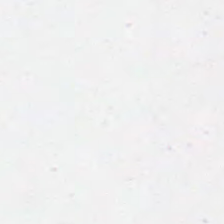Hematoxylin-and-eosin stained section. Field content — background (no tissue).
